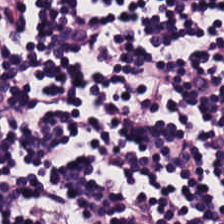Brightfield microscopy · H&E — Tissue: lymphocytes.
